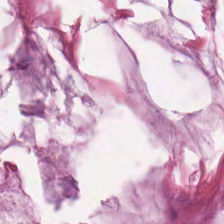H&E — Mucus.
